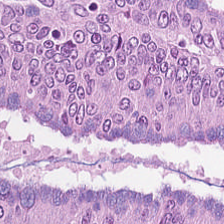Impression — colorectal adenocarcinoma.
